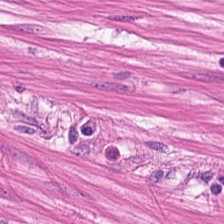Q: What is shown here?
A: The field shows smooth muscle.
